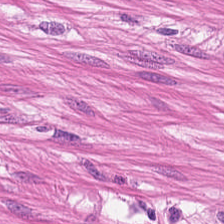Hematoxylin-and-eosin section: smooth muscle.
